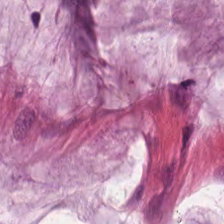224×224 px tile · H&E-stained tissue section — Impression — extracellular mucin.
